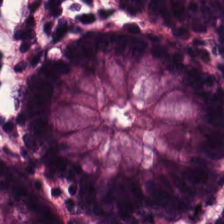Hematoxylin-and-eosin stained section; FFPE.
The classification is non-neoplastic colon mucosa.
